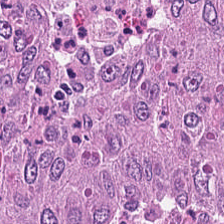H&E — Showing tumor epithelium.
